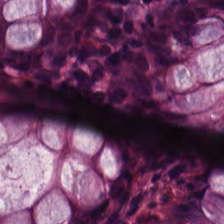Hematoxylin-and-eosin stained section.
Tissue class — benign colonic mucosa.
